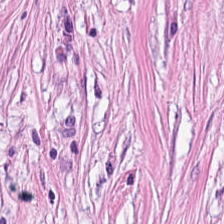Impression → cancer-associated stroma.
